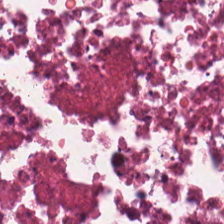FFPE tissue section; hematoxylin-and-eosin stained section — The tissue class is necrotic debris.
